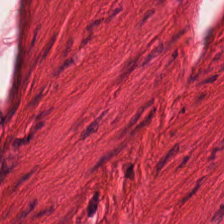Hematoxylin-and-eosin section: smooth-muscle tissue.
